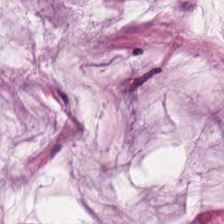H&E stain. Tissue class: mucin.
